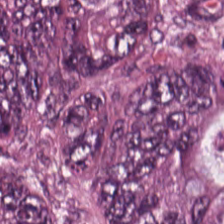Stain: H&E stain.
Tissue type: colorectal adenocarcinoma epithelium.
